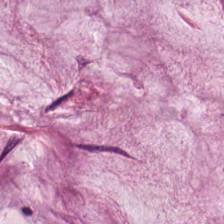Q: What tissue is shown?
A: This is extracellular mucin.
